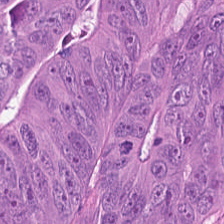WSI patch; hematoxylin and eosin.
This patch shows colorectal adenocarcinoma.
